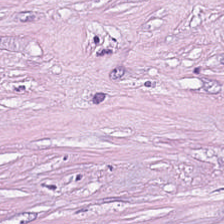H&E. Predominantly cancer-associated stroma.
